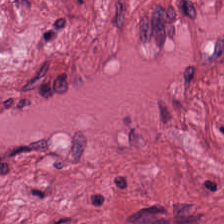H&E — The predominant tissue is cancer-associated stroma.
